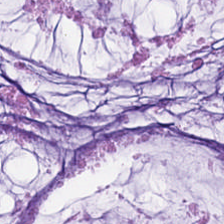H&E-stained tissue section. 224×224 px patch — Classification: extracellular mucin.
